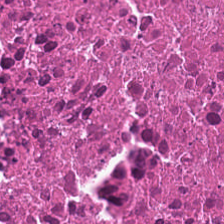H&E.
Q: Identify the tissue.
A: It is cellular debris.
